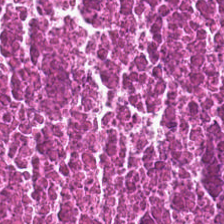H&E-stained tissue section.
Debris.
